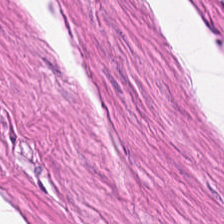H&E — Q: What tissue type is shown here?
A: The field shows smooth muscle.
